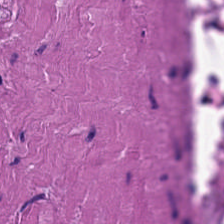Tissue = smooth muscle.
